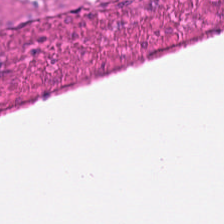Stain: hematoxylin-and-eosin stained section.
Classification: muscularis.
